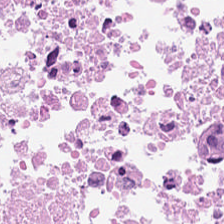Stain: H&E.
Predominant tissue: debris.
